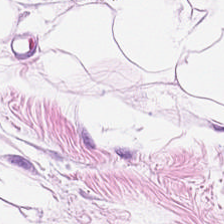H&E-stained tissue section — Predominantly adipose tissue.
